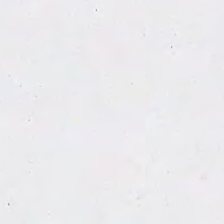Hematoxylin and eosin — Q: Classify this patch.
A: It is background (no tissue).
